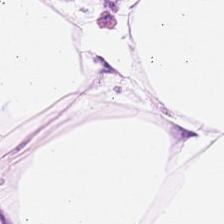FFPE tissue section; H&E stain.
The predominant tissue is adipose.
